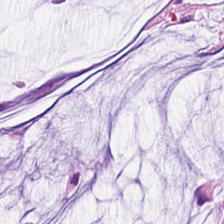20× equivalent magnification; H&E — Q: What type of tissue is this?
A: This is mucin.
